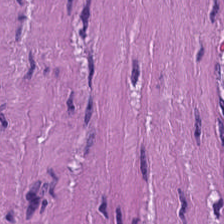The tissue here is smooth muscle.
